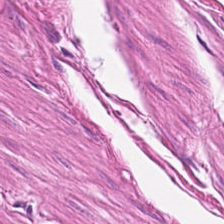Stain: hematoxylin-and-eosin stained section.
Classification: smooth muscle.
